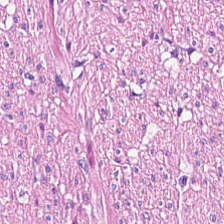224×224 pixel tile. Hematoxylin-and-eosin stained section. Classification — smooth muscle.
